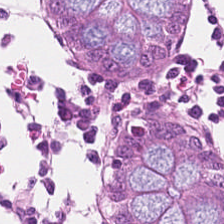H&E-stained tissue section; FFPE — Classification: non-neoplastic colon mucosa.
